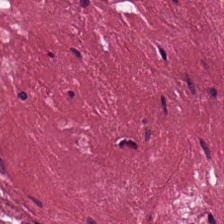Hematoxylin-and-eosin stained section · whole-slide-image patch. Showing tumor-associated stroma.
